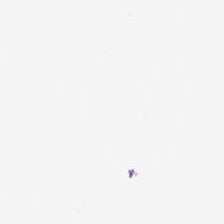H&E stain · formalin-fixed paraffin-embedded section.
Impression → background.
